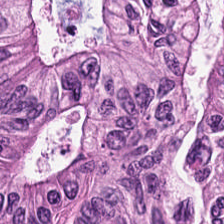Stain: H&E.
Predominant tissue: colorectal adenocarcinoma.
